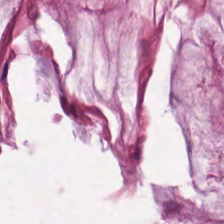Hematoxylin and eosin — The tissue here is mucin.
